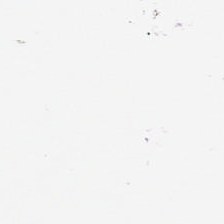Background (no tissue).
